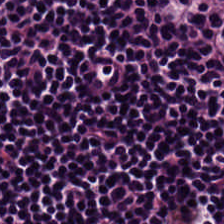H&E stain.
Lymphocyte aggregate.
